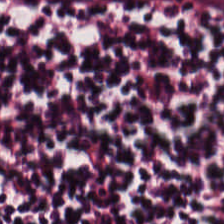Hematoxylin-and-eosin stained section — Finding — lymphocytes.
